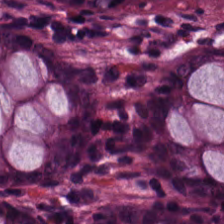Stain: H&E.
Tile size: 224×224 px tile.
Resolution: 0.5 microns per pixel.
Tissue type: non-neoplastic colon mucosa.
